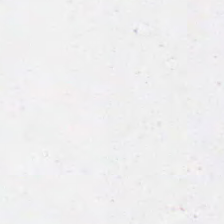No tissue.
